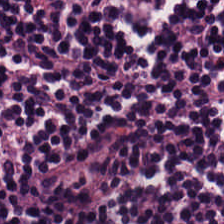20× equivalent magnification; hematoxylin-and-eosin stained section; 224×224 px tile.
Q: What is shown here?
A: The field shows lymphocyte aggregate.
